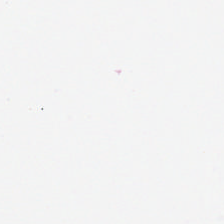Formalin-fixed paraffin-embedded section. Hematoxylin and eosin.
Histology — background (no tissue).
